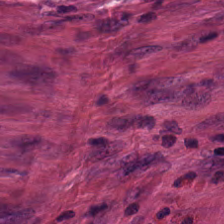H&E; 224×224 pixel tile; whole-slide-image patch.
Q: What tissue is shown?
A: The field shows desmoplastic stroma.
